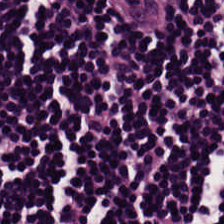0.5 µm per pixel · FFPE tissue section · hematoxylin-and-eosin stained section — Q: Classify this patch.
A: This is lymphocytic infiltrate.
